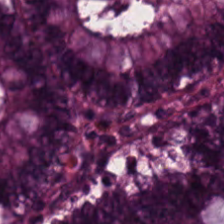Hematoxylin and eosin. Impression — benign colonic mucosa.
